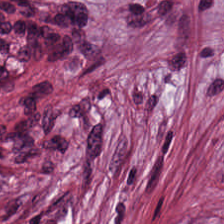Stain: H&E stain.
Tissue type: desmoplastic stroma.
